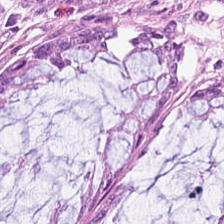Tissue class: normal colonic mucosa.
